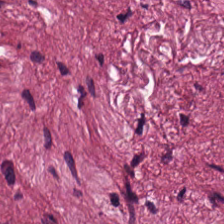Hematoxylin-and-eosin stained section. 224×224 px tile — This field is cancer-associated stroma.
